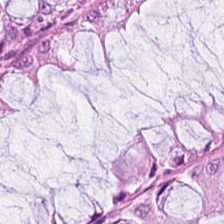FFPE; H&E — This field is benign colonic mucosa.
